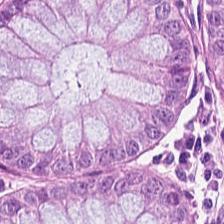Non-neoplastic colon mucosa.
